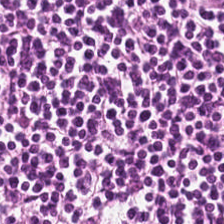H&E-stained tissue section. This field is lymphoid infiltrate.
